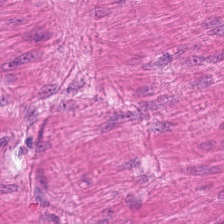FFPE · whole-slide-image patch · H&E-stained tissue section.
Impression → smooth muscle.
